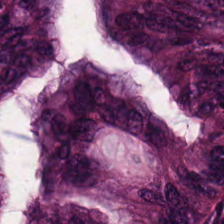H&E.
Tissue type — tumor epithelium.
